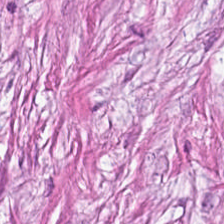H&E; 0.5 microns per pixel — Showing cancer-associated stroma.
